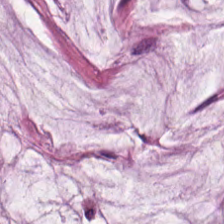Hematoxylin and eosin · 224×224 px tile — The tissue here is mucin.
